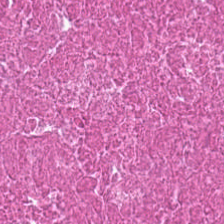224×224 px tile · H&E-stained tissue section. Cellular debris.
